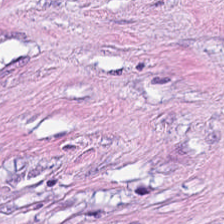Hematoxylin-and-eosin stained section · 224×224 pixel tile — Q: What is shown here?
A: Tumor stroma.
